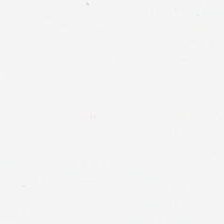H&E stain · FFPE tissue section.
Q: What is shown in this field?
A: Empty background.
